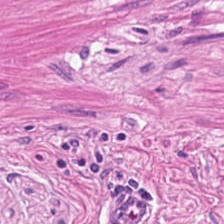H&E patch showing smooth muscle.
